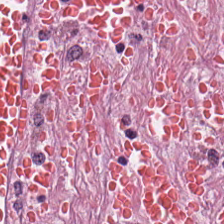H&E.
This patch shows desmoplastic stroma.
